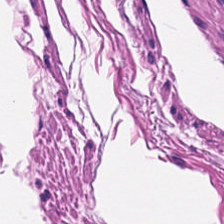Tissue class = smooth muscle.
